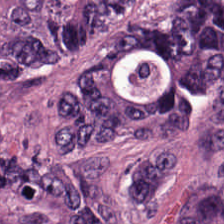224×224 pixel tile · WSI patch · hematoxylin and eosin. This field is tumor epithelium.
